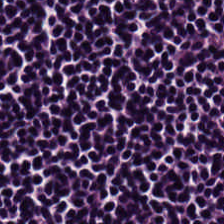Q: Identify the tissue.
A: Lymphoid infiltrate.
